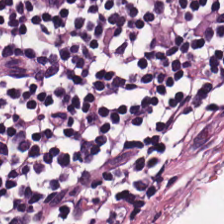The tissue class is lymphocytes.
